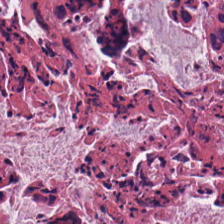Hematoxylin and eosin — Q: What tissue type is shown here?
A: The field shows debris.
